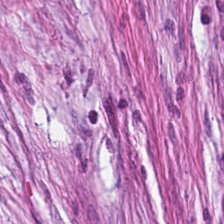H&E-stained tissue section — Tissue = desmoplastic stroma.
